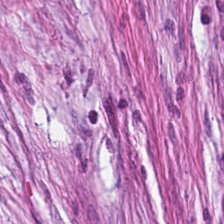H&E-stained tissue section — Tissue = desmoplastic stroma.
